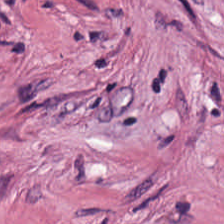H&E-stained section; the field shows desmoplastic stroma.
